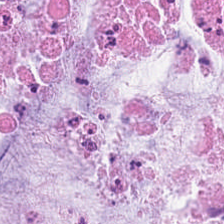H&E stain; 224×224 px patch. The tissue here is extracellular mucin.
